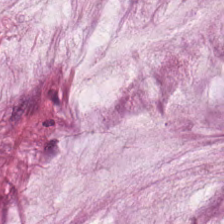Hematoxylin-and-eosin stained section; 0.5 µm/px; WSI patch.
The predominant tissue is extracellular mucin.
